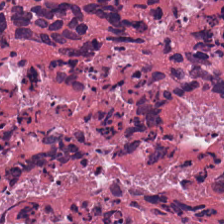Brightfield microscopy · H&E-stained tissue section. Q: What is the predominant tissue type?
A: The field shows cellular debris.
